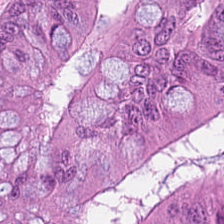224×224 pixel tile. H&E-stained tissue section — {"tissue_type": "tumor epithelium"}
